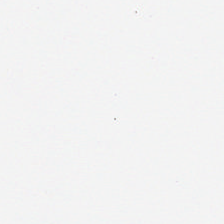This patch shows background (no tissue).
